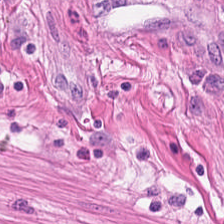H&E-stained tissue section.
Smooth-muscle tissue.
